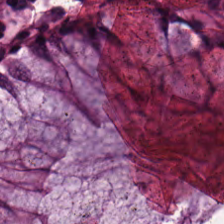WSI patch. Hematoxylin and eosin.
Finding — normal colon mucosa.
